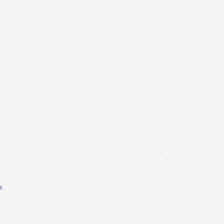FFPE tissue section. 0.5 microns per pixel. H&E stain.
Background — no tissue in this field.
